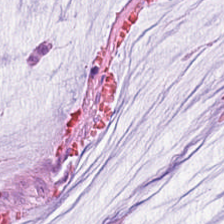Whole-slide-image patch. 224×224 px patch. Hematoxylin-and-eosin stained section. The predominant tissue is mucin.
